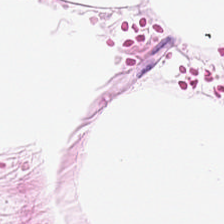FFPE tissue section · H&E · 224×224 pixel tile — Fat tissue.
